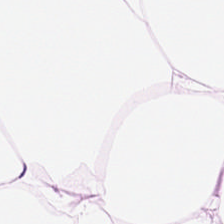H&E-stained section; the field shows adipocytes.
